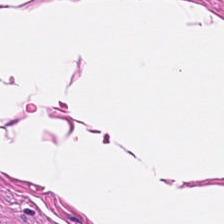Hematoxylin and eosin. 0.5 µm per pixel. This patch shows muscularis.
